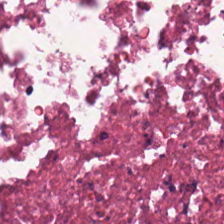Stain: H&E stain.
Predominant tissue: cellular debris.
